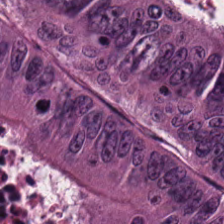224×224 pixel tile · H&E stain.
Q: What type of tissue is this?
A: The field shows colorectal adenocarcinoma.
